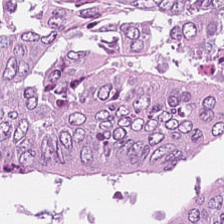H&E stain. Impression — malignant epithelium.
